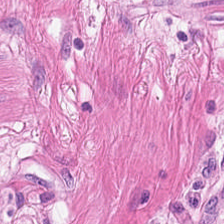H&E-stained tissue section; FFPE tissue section; 224×224 pixel tile — This field is smooth muscle.
